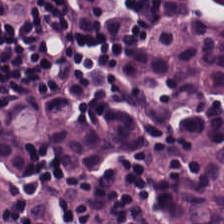H&E stain · WSI patch. {"tissue_type": "lymphoid infiltrate"}
